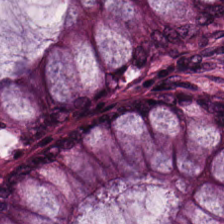Formalin-fixed paraffin-embedded section · H&E · brightfield.
The predominant tissue is non-neoplastic colon mucosa.
